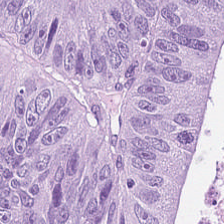H&E-stained tissue section showing malignant epithelium.
